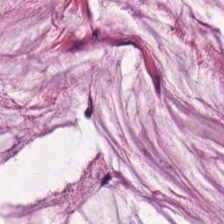224×224 px tile; H&E stain; FFPE — Tissue type = extracellular mucin.
